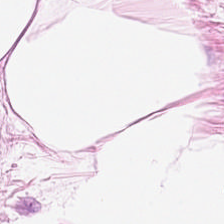Hematoxylin and eosin — The tissue class is adipose tissue.
